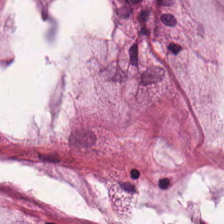H&E-stained tissue section — Predominantly extracellular mucin.
